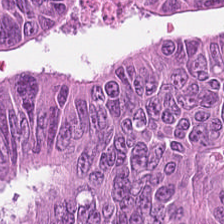WSI patch. Hematoxylin-and-eosin stained section. Predominant tissue = colorectal adenocarcinoma epithelium.
